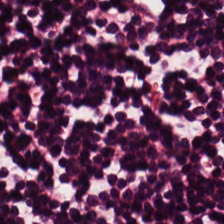H&E stain.
Tissue: lymphocytes.
